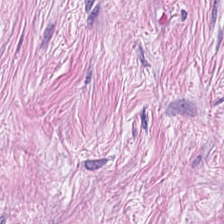H&E · 224×224 px patch.
Tissue class — desmoplastic stroma.
